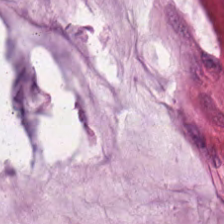Tissue class = mucin.
